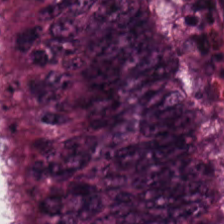Stain: H&E-stained tissue section.
Tissue type: adenocarcinoma.
